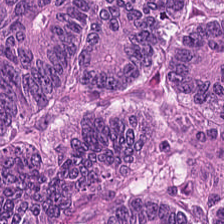H&E-stained tissue section — Predominantly colorectal adenocarcinoma.
